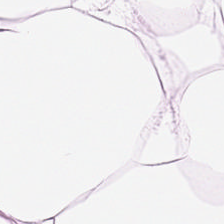H&E stain.
Fat tissue.
